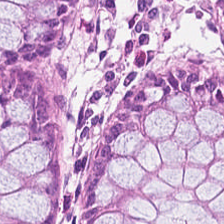H&E. Formalin-fixed paraffin-embedded section. 20× equivalent magnification.
Impression → normal colonic mucosa.
